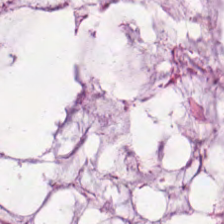H&E stain. Q: What does this patch show?
A: Extracellular mucin.
